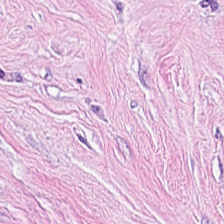Stain: H&E.
Tissue class: desmoplastic stroma.
